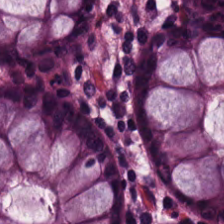224×224 px tile; H&E stain. Tissue type = normal colonic mucosa.
